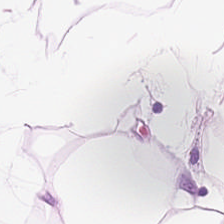Hematoxylin-and-eosin stained section — Predominantly fat tissue.
